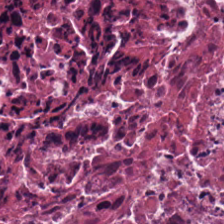0.5 µm per pixel · 224×224 px tile · hematoxylin-and-eosin stained section.
This patch shows cellular debris.
